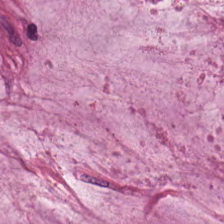Hematoxylin and eosin — Q: What does this patch show?
A: This is mucus.
